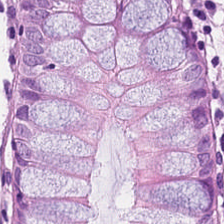224×224 px patch · whole-slide-image patch · H&E — {"tissue_type": "normal colonic mucosa"}
